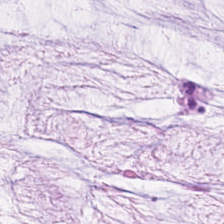Tissue type = mucin.
